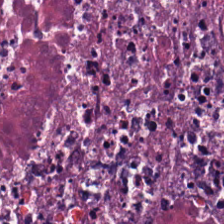H&E; 0.5 µm/px.
Tissue class: debris.
